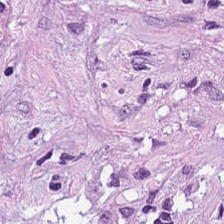Histology → cancer-associated stroma.
